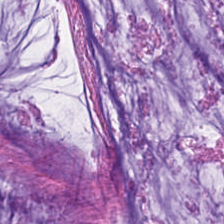H&E stain. Whole-slide-image patch.
Showing mucus.
